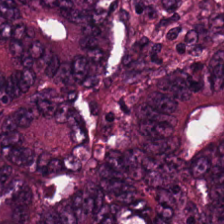Hematoxylin and eosin. 224×224 px patch. Q: Classify this patch.
A: Tumor epithelium.
